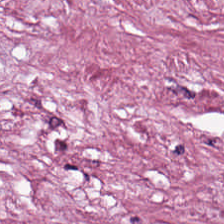Tissue type — tumor-associated stroma.
